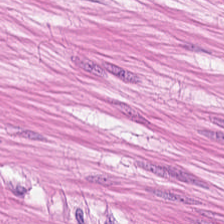H&E. FFPE.
The classification is muscularis.
